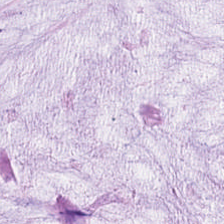H&E stain.
Q: What is shown in this field?
A: Mucus.
